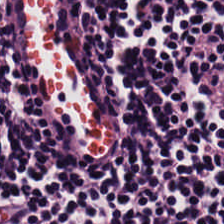Whole-slide-image patch; H&E-stained tissue section.
The tissue here is lymphocytic infiltrate.
